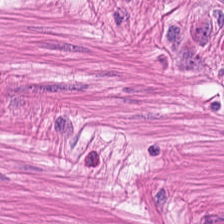H&E stain.
Showing smooth-muscle tissue.
